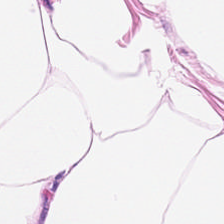20× equivalent magnification. Hematoxylin and eosin. Tissue class = adipocytes.
